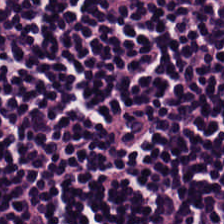Q: What does this patch show?
A: It is lymphocyte aggregate.
